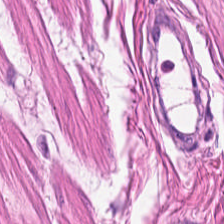H&E-stained tissue section.
Q: What tissue type is shown here?
A: The field shows smooth muscle.
